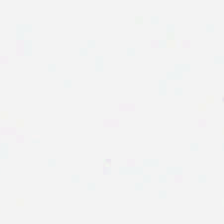FFPE tissue section · hematoxylin-and-eosin stained section. The content is no tissue.
